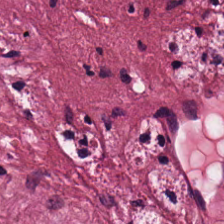Brightfield · 0.5 µm per pixel · H&E-stained tissue section — Predominantly cancer-associated stroma.
